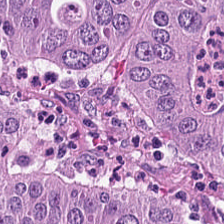Stain: H&E-stained tissue section.
Tissue: malignant epithelium.
